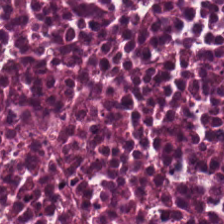WSI patch; 20× equivalent magnification; H&E-stained tissue section. Cellular debris.
